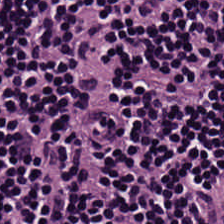Hematoxylin-and-eosin stained section. Q: What is the predominant tissue type?
A: Lymphocytic infiltrate.
